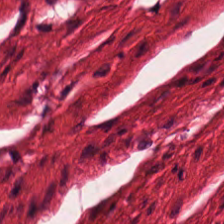FFPE tissue section · hematoxylin and eosin. Showing muscularis.
